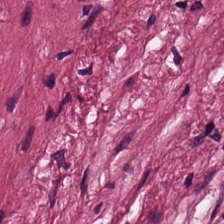Classification — cancer-associated stroma.
